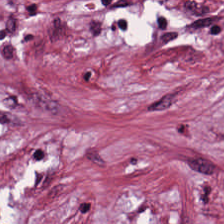Hematoxylin-and-eosin stained section — Predominantly tumor stroma.
